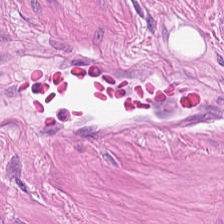H&E. WSI patch.
Smooth muscle.
